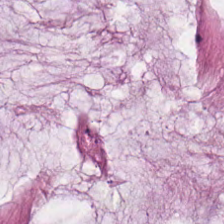Q: What does this patch show?
A: This is extracellular mucin.
